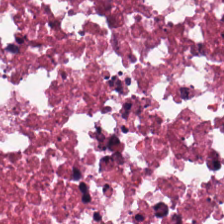Brightfield microscopy. H&E stain.
This field is necrotic debris.
